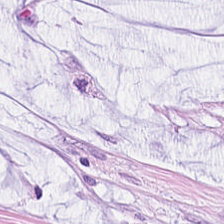H&E-stained tissue section. Q: What tissue is shown?
A: Mucus.
